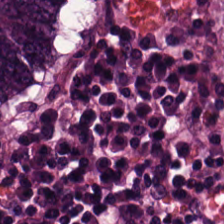Histology → malignant epithelium.
